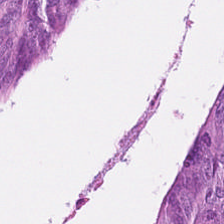Brightfield microscopy. Formalin-fixed paraffin-embedded section. H&E-stained tissue section. Finding → adenocarcinoma.
